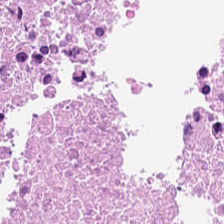Stain: H&E stain.
Preparation: FFPE.
Resolution: 0.5 µm per pixel.
Tissue type: necrotic debris.
